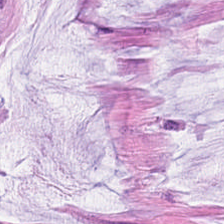H&E-stained tissue section — Predominant tissue — mucus.
